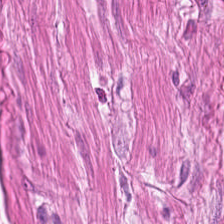Stain: H&E stain.
Tissue: muscularis.
